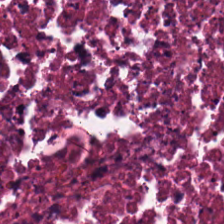H&E stain — Tissue type = debris.
